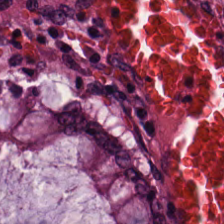Formalin-fixed paraffin-embedded section · H&E · WSI patch.
Tissue type = non-neoplastic colon mucosa.
